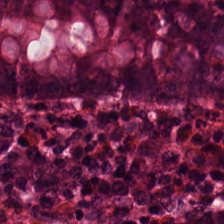Normal colonic mucosa.
